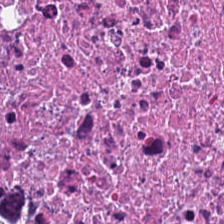H&E-stained tissue section.
This field is cellular debris.
